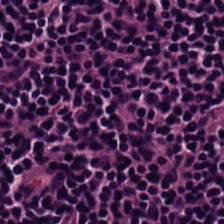H&E stain.
Predominant tissue = lymphocytic infiltrate.
